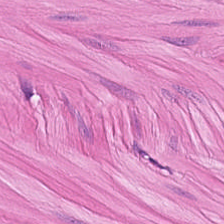Stain: hematoxylin and eosin.
Acquisition: whole-slide-image patch.
Tissue: smooth-muscle tissue.
